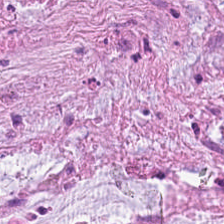20× equivalent magnification. Hematoxylin and eosin.
The predominant tissue is mucus.
